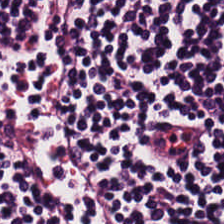Impression — lymphocytic infiltrate.
